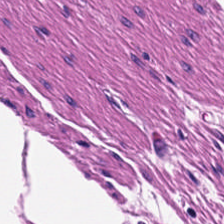Brightfield; H&E-stained tissue section. Tissue = smooth-muscle tissue.
